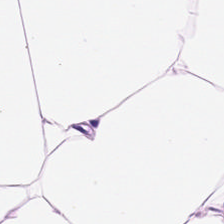H&E stain · formalin-fixed paraffin-embedded section — Predominant tissue: adipocytes.
